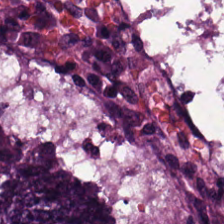Tissue class: adenocarcinoma.
